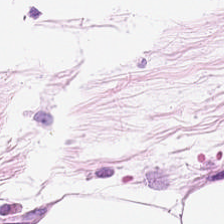H&E-stained tissue section.
This field is adipocytes.
